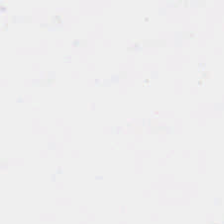224×224 px patch · 0.5 µm per pixel · H&E stain. {"content": "empty background"}
